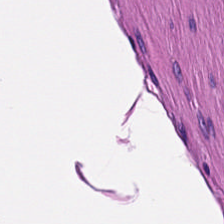Hematoxylin-and-eosin stained section — Tissue class — smooth muscle.
